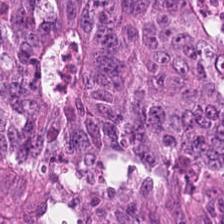H&E. {"tissue_type": "adenocarcinoma"}
